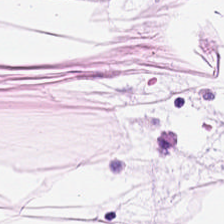Stain: hematoxylin-and-eosin stained section.
Classification: adipocytes.
